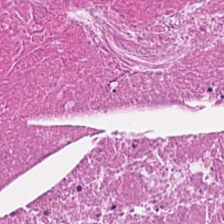Hematoxylin and eosin.
Finding — debris.
